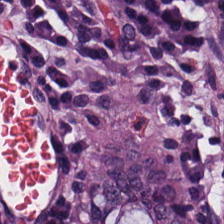Hematoxylin and eosin. {"tissue_type": "normal colon mucosa"}
